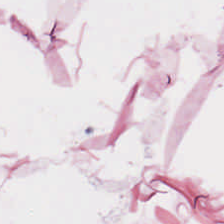Q: What is shown here?
A: This is adipose.
